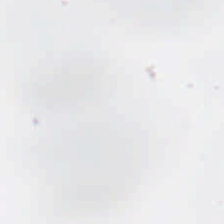Hematoxylin and eosin. Q: What is shown here?
A: This is empty background.
